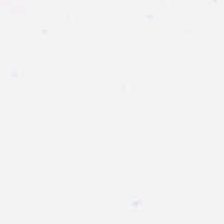WSI patch. 224×224 px patch. Hematoxylin-and-eosin stained section.
This field is background (no tissue).
